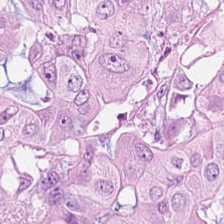H&E — malignant epithelium.
